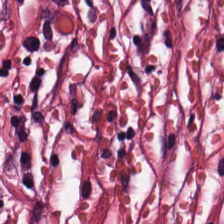Stain: H&E stain.
Preparation: FFPE.
Predominant tissue: desmoplastic stroma.
